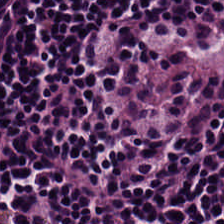Predominant tissue = lymphocytes.
